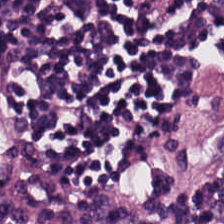Hematoxylin and eosin.
Showing lymphocytic infiltrate.
